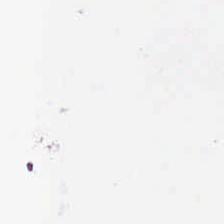Hematoxylin and eosin — Content: no tissue.
